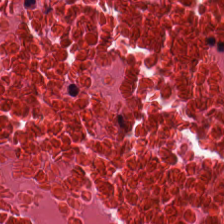H&E-stained tissue section — Predominantly necrotic debris.
